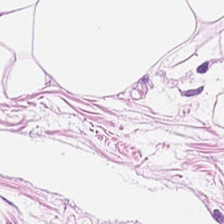Hematoxylin and eosin · FFPE.
Q: What type of tissue is this?
A: It is adipose tissue.
